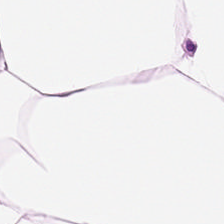Impression — adipose.
